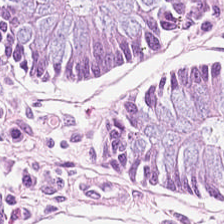The predominant tissue is normal colon mucosa.
